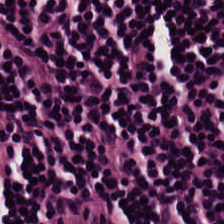H&E-stained section; the field shows lymphocytes.
